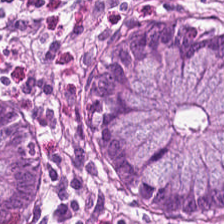Brightfield microscopy. H&E-stained tissue section.
Showing normal colonic mucosa.
